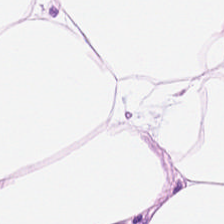Hematoxylin-and-eosin stained section — Tissue class = fat tissue.
